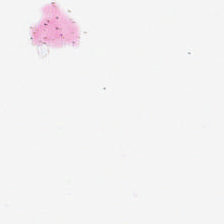H&E-stained tissue section. Brightfield microscopy. Q: Classify this patch.
A: Background.
